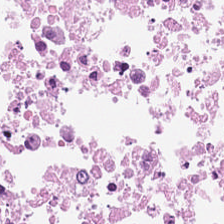H&E-stained tissue section · brightfield microscopy · 224×224 px tile — Q: What type of tissue is this?
A: It is debris.
